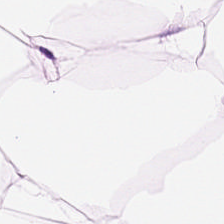Hematoxylin-and-eosin stained section; FFPE tissue section; brightfield microscopy.
{"tissue_type": "fat tissue"}
